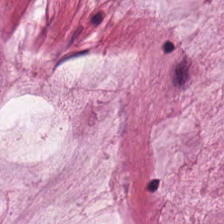Hematoxylin-and-eosin stained section — Q: What is shown in this field?
A: It is mucus.
